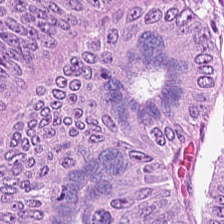Hematoxylin and eosin — Q: Classify this patch.
A: It is tumor epithelium.
